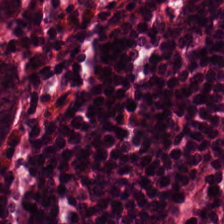0.5 microns per pixel. FFPE tissue section. Hematoxylin and eosin. The tissue here is benign colonic mucosa.
